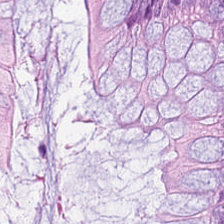Hematoxylin and eosin.
Q: What is shown here?
A: It is benign colonic mucosa.
